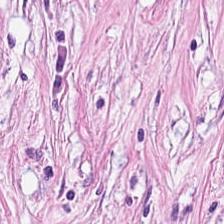Hematoxylin and eosin. Showing tumor-associated stroma.
